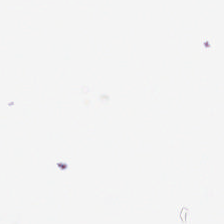Hematoxylin and eosin — Q: What is shown in this field?
A: This is no tissue.
